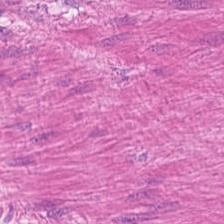H&E. 0.5 µm/px.
Q: Classify this patch.
A: It is muscularis.
